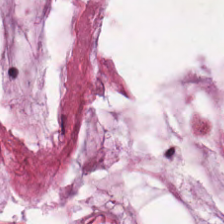The tissue here is mucin.
